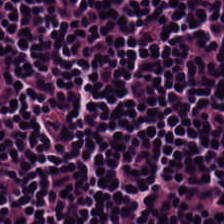H&E. This patch shows lymphocytes.
